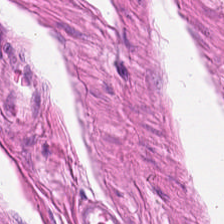Hematoxylin and eosin.
Q: What is the predominant tissue type?
A: This is smooth-muscle tissue.
